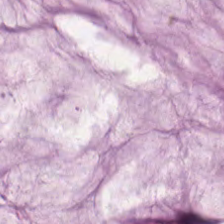H&E stain · WSI patch · 224×224 pixel tile. {"tissue_type": "mucin"}
